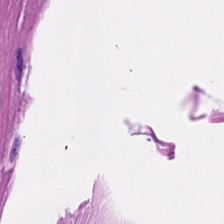This field is muscularis.
